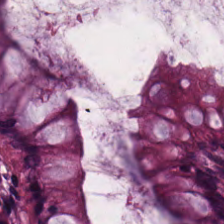H&E.
Impression → normal colon mucosa.
